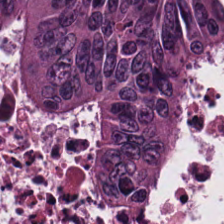Predominant tissue — adenocarcinoma.
